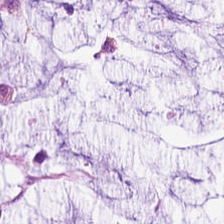Q: What does this patch show?
A: This is mucin.
